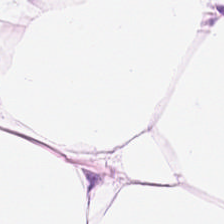FFPE · hematoxylin-and-eosin stained section · 224×224 px patch — This patch shows adipose tissue.
